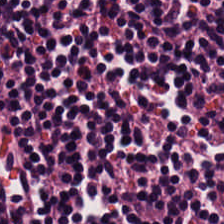0.5 µm per pixel. 224×224 px tile. H&E stain.
Impression → lymphoid infiltrate.
